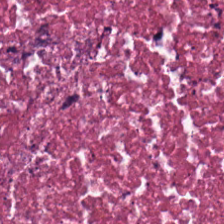Tissue — debris.
